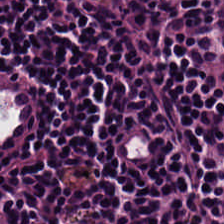Hematoxylin-and-eosin stained section. FFPE. Showing lymphocytes.
